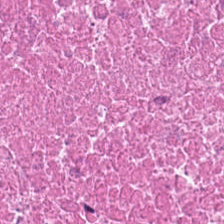H&E-stained tissue section — Classification: necrotic debris.
